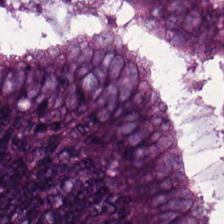H&E-stained tissue section; 0.5 microns per pixel — This field is adenocarcinoma.
